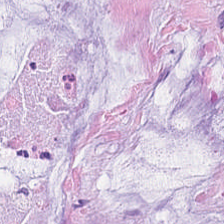H&E — Predominantly extracellular mucin.
